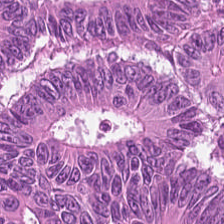Stain: H&E-stained tissue section.
Tissue class: colorectal adenocarcinoma.
